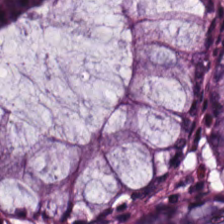224×224 pixel tile. H&E.
Showing benign colonic mucosa.
